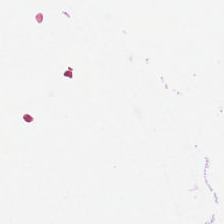0.5 microns per pixel · hematoxylin and eosin. The content is background.
